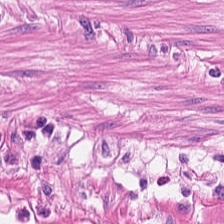Predominantly smooth muscle.
